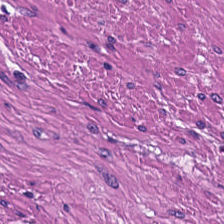224×224 px patch · 0.5 µm per pixel · hematoxylin and eosin — {"tissue_type": "smooth muscle"}
